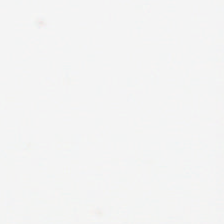H&E-stained tissue section. 224×224 px patch. WSI patch. No tissue present; background only.
